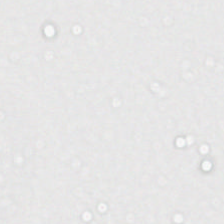Hematoxylin and eosin — Content: no tissue.
